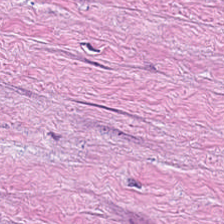0.5 µm/px; H&E — Impression — desmoplastic stroma.
